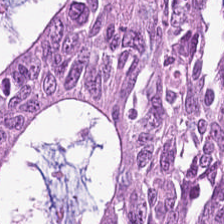Histology — colorectal adenocarcinoma.
